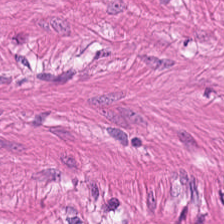H&E stain. 224×224 px patch. FFPE. Showing muscularis.
